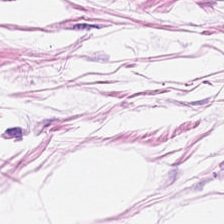224×224 pixel tile; H&E-stained tissue section. Predominantly adipocytes.
